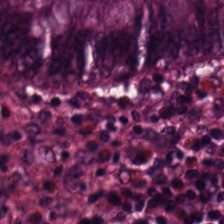H&E · 224×224 pixel tile — Normal colon mucosa.
